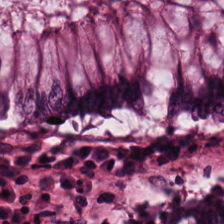Predominant tissue: normal colon mucosa.
